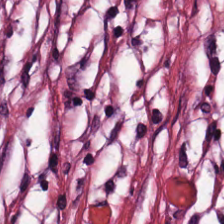Q: What is shown in this field?
A: It is tumor stroma.
